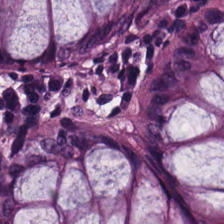H&E-stained tissue section.
Q: What does this patch show?
A: It is normal colon mucosa.
